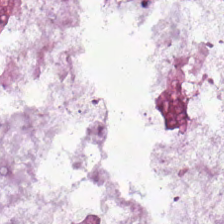The tissue is mucus.
